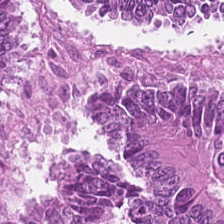Predominant tissue = colorectal adenocarcinoma.
